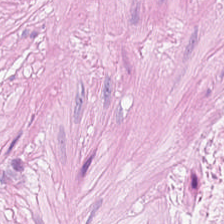H&E. WSI patch.
Q: What does this patch show?
A: This is smooth-muscle tissue.
